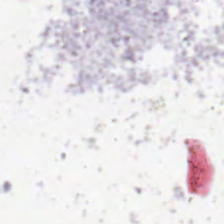Content — background.
